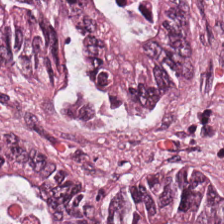The predominant tissue is colorectal adenocarcinoma epithelium.
